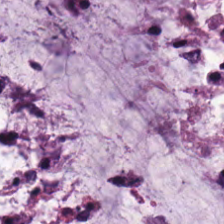This patch shows extracellular mucin.
